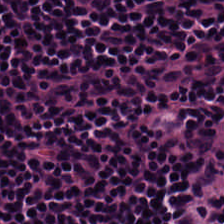Hematoxylin-and-eosin stained section · 224×224 pixel tile — Q: What does this patch show?
A: This is lymphoid infiltrate.
